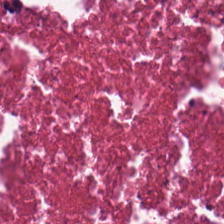H&E. The predominant tissue is debris.
